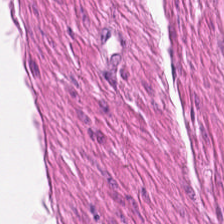Hematoxylin and eosin — This patch shows smooth muscle.
